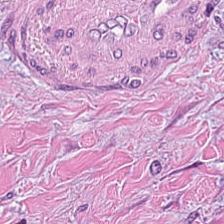Hematoxylin and eosin — Q: What is shown here?
A: Desmoplastic stroma.
